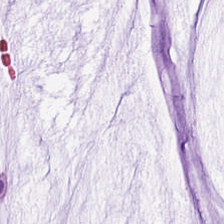H&E-stained tissue section — Finding — extracellular mucin.
